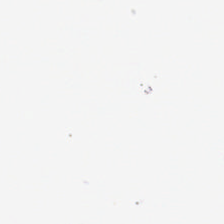Stain: H&E-stained tissue section.
Tile size: 224×224 pixel tile.
Field content: no tissue.
